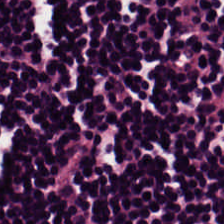Classification: lymphocyte aggregate.
